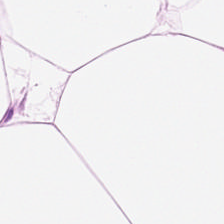Tissue: fat tissue.
